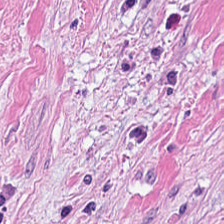Whole-slide-image patch · H&E · 0.5 µm per pixel — Q: What tissue is shown?
A: The field shows tumor-associated stroma.
